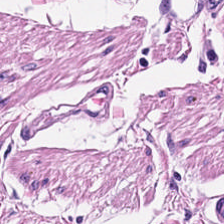H&E-stained tissue section. Muscularis.
